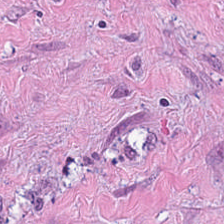Hematoxylin and eosin; WSI patch — Q: Identify the tissue.
A: This is tumor-associated stroma.
